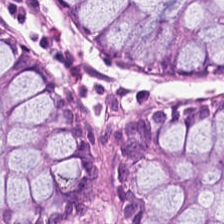{"tissue_type": "benign colonic mucosa"}
